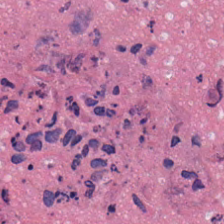Predominantly debris.
